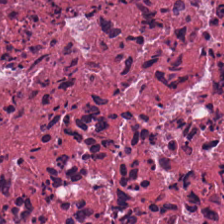Hematoxylin-and-eosin stained section. This field is debris.
